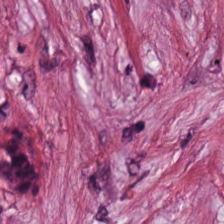H&E stain · FFPE — Showing tumor-associated stroma.
